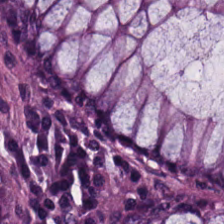Hematoxylin-and-eosin stained section; brightfield microscopy — Benign colonic mucosa.
